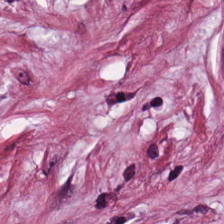Hematoxylin-and-eosin section: cancer-associated stroma.
